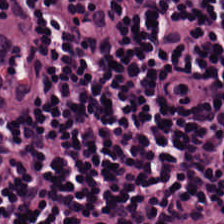H&E-stained tissue section. Brightfield microscopy. Showing lymphocyte aggregate.
